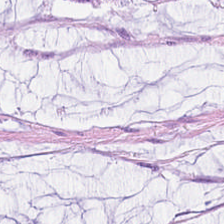0.5 µm/px · hematoxylin and eosin · brightfield microscopy — The classification is mucin.
